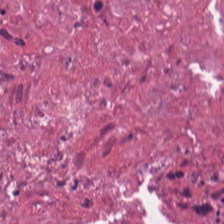Whole-slide-image patch. H&E stain. 224×224 px patch.
Classification — debris.
